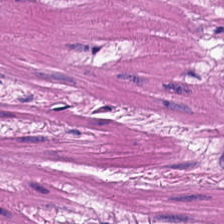0.5 µm per pixel · H&E stain · FFPE — Finding — smooth-muscle tissue.
